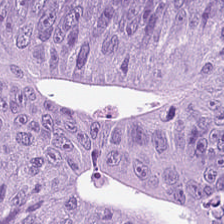224×224 pixel tile; H&E-stained tissue section.
Q: What is shown here?
A: The field shows adenocarcinoma.
